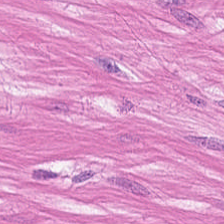Stain: hematoxylin and eosin.
Tile size: 224×224 px patch.
Tissue class: muscularis.
